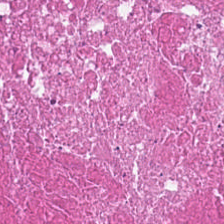Tissue type — debris.
